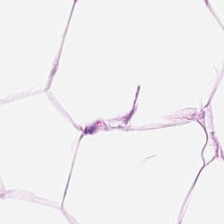0.5 µm/px. H&E stain. This field is fat tissue.
